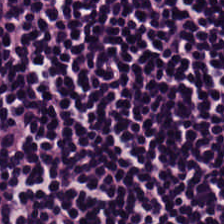This patch shows lymphocytes.
